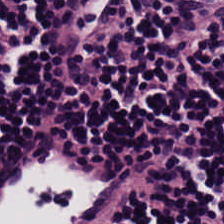224×224 px patch; H&E stain — The tissue here is lymphocytic infiltrate.
